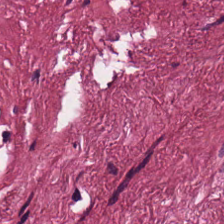H&E stain. WSI patch.
This field is tumor stroma.
